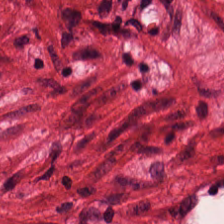Whole-slide-image patch · 0.5 µm per pixel · hematoxylin-and-eosin stained section. Histology → muscularis.
